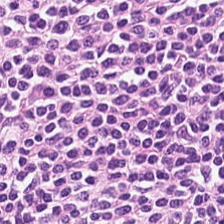H&E. 224×224 px patch. 0.5 µm/px.
Impression → lymphocytic infiltrate.
